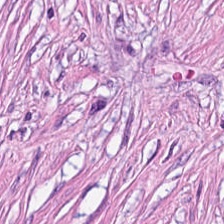Hematoxylin-and-eosin stained section — This patch shows tumor-associated stroma.
